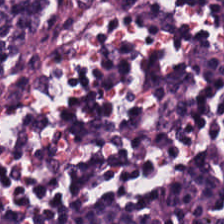FFPE. H&E stain. Classification — lymphocytes.
